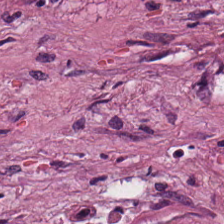Q: What is shown here?
A: This is desmoplastic stroma.
